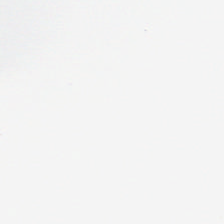H&E-stained tissue section. FFPE tissue section — The field content is empty background.
